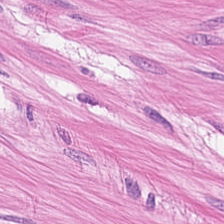Hematoxylin-and-eosin stained section — This field is muscularis.
